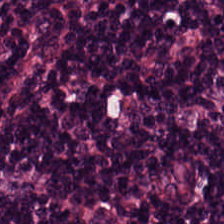Hematoxylin and eosin. Lymphoid infiltrate.
